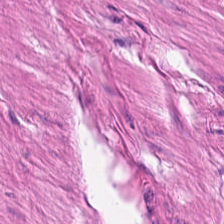Hematoxylin-and-eosin stained section. Classification — smooth-muscle tissue.
